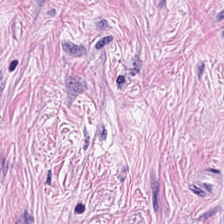Hematoxylin-and-eosin stained section. Tissue — tumor-associated stroma.
